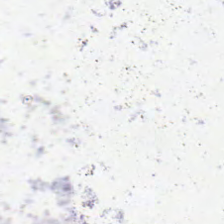No tissue present; background only.
